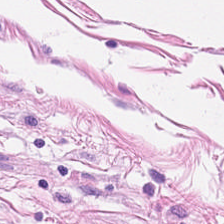Tissue = smooth muscle.
